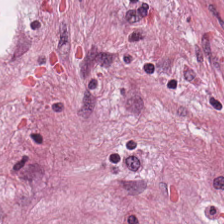0.5 µm/px. H&E. Formalin-fixed paraffin-embedded section — The predominant tissue is tumor stroma.
